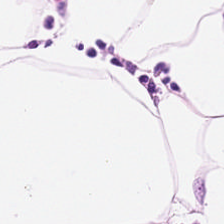0.5 µm per pixel; hematoxylin-and-eosin stained section.
The classification is fat tissue.
